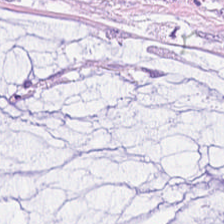H&E stain — This patch shows mucus.
